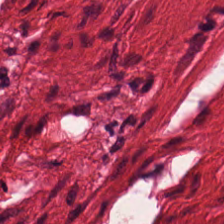Whole-slide-image patch · H&E stain. This patch shows muscularis.
